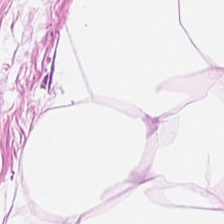H&E-stained tissue section. Whole-slide-image patch.
Predominantly adipose tissue.
